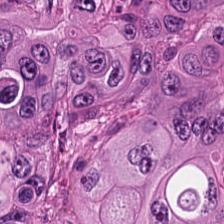Hematoxylin and eosin; 20× equivalent magnification.
Histology → malignant epithelium.
